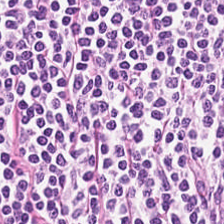Q: Identify the tissue.
A: This is lymphocytes.
